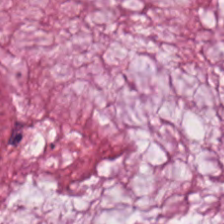H&E-stained tissue section. Showing mucus.
